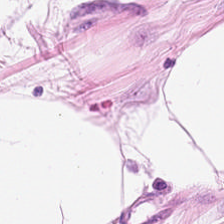Stain: hematoxylin-and-eosin stained section.
Classification: adipose tissue.
